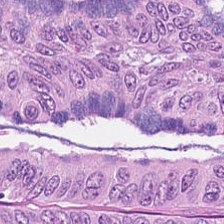Hematoxylin and eosin. 224×224 pixel tile. 0.5 µm per pixel. Showing colorectal adenocarcinoma.
